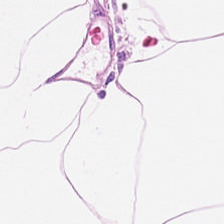Stain: H&E stain.
Predominant tissue: adipocytes.
